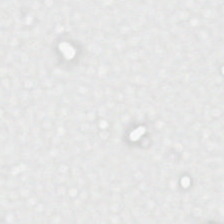Hematoxylin-and-eosin stained section — Empty background.
